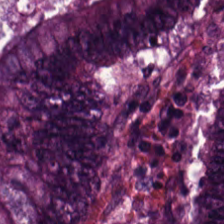H&E stain. {"tissue_type": "malignant epithelium"}
